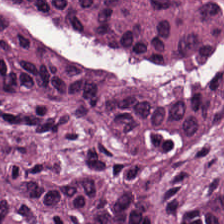Q: What is shown here?
A: The field shows tumor epithelium.
